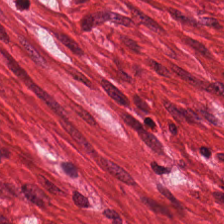Stain: hematoxylin and eosin.
Tissue: muscularis.
